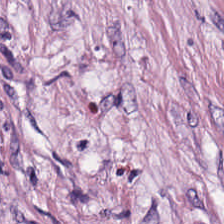Formalin-fixed paraffin-embedded section · H&E-stained tissue section. Q: What tissue type is shown here?
A: The field shows tumor-associated stroma.
